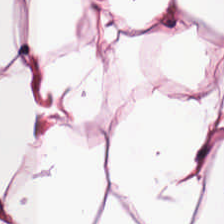Hematoxylin and eosin. Q: Classify this patch.
A: This is adipose tissue.
